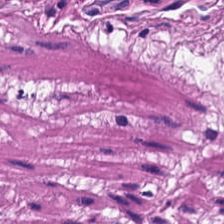H&E-stained tissue section. Smooth muscle.
